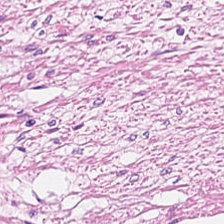Q: What type of tissue is this?
A: The field shows muscularis.
